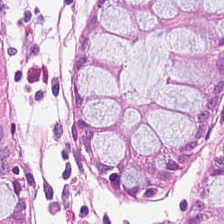Q: What type of tissue is this?
A: The field shows non-neoplastic colon mucosa.
